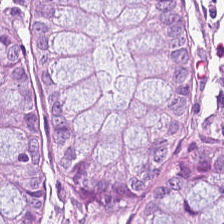H&E — Q: What tissue is shown?
A: The field shows normal colon mucosa.
